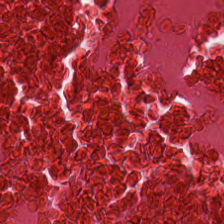Formalin-fixed paraffin-embedded section. H&E stain — Histology — debris.
